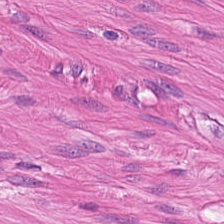Q: What does this patch show?
A: It is smooth muscle.
